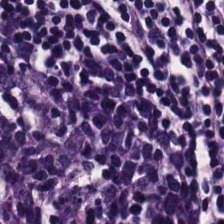Q: Classify this patch.
A: It is lymphocyte aggregate.
